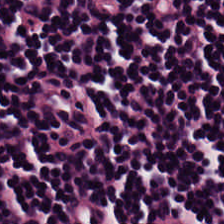Hematoxylin and eosin. Tissue class — lymphocytic infiltrate.
